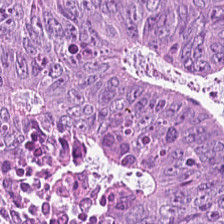Hematoxylin and eosin — The classification is colorectal adenocarcinoma.
